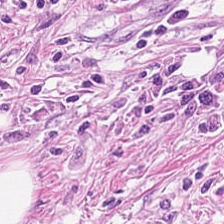Stain: H&E-stained tissue section.
Acquisition: WSI patch.
Tissue class: desmoplastic stroma.
